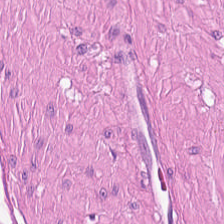Formalin-fixed paraffin-embedded section. H&E-stained tissue section. Tissue = smooth muscle.
